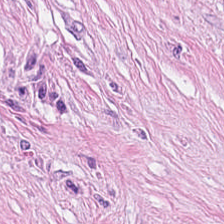The tissue here is cancer-associated stroma.
